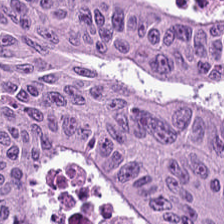H&E. Histology → colorectal adenocarcinoma epithelium.
